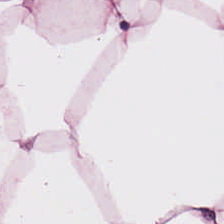Whole-slide-image patch · hematoxylin and eosin — This patch shows adipocytes.
